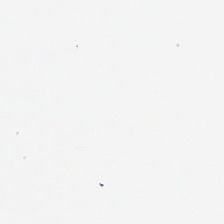Stain: H&E-stained tissue section.
Classification: empty background.
